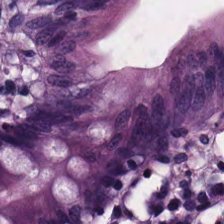Stain: hematoxylin and eosin.
Tile size: 224×224 px patch.
Resolution: 0.5 µm/px.
Tissue: benign colonic mucosa.
